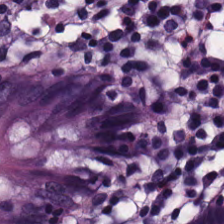Tissue type — benign colonic mucosa.
